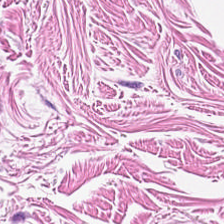H&E-stained tissue section — Impression — smooth muscle.
